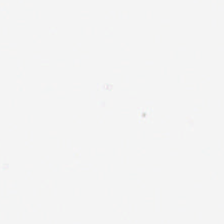H&E stain. This field is background (no tissue).
